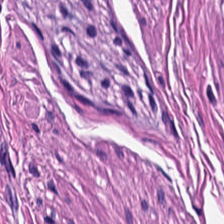Hematoxylin and eosin. 224×224 px patch. 0.5 microns per pixel.
Smooth muscle.
